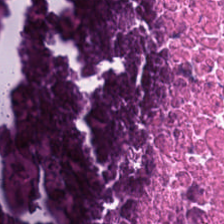H&E — Showing cellular debris.
